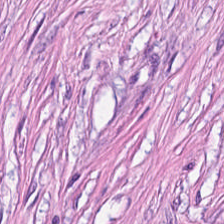Predominant tissue = cancer-associated stroma.
